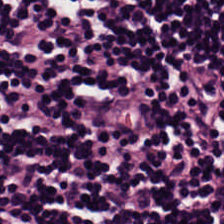H&E stain.
Lymphocyte aggregate.
